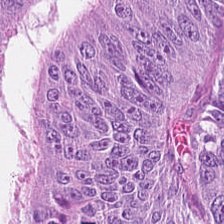224×224 px tile · hematoxylin-and-eosin stained section — Showing adenocarcinoma.
